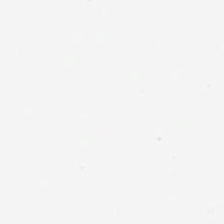Field content — empty background.
